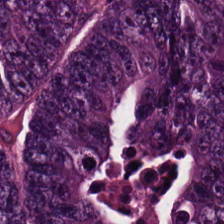Hematoxylin-and-eosin stained section · 224×224 px patch — Q: What tissue is shown?
A: This is tumor epithelium.
